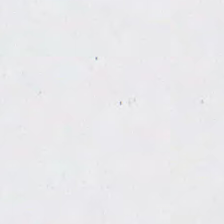224×224 px tile. Hematoxylin and eosin. Content: no tissue.
